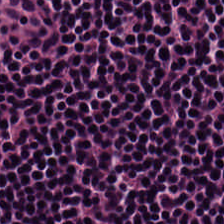Hematoxylin-and-eosin stained section — This field is lymphocytic infiltrate.
